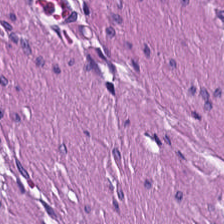20× equivalent magnification · H&E-stained tissue section. Histology → smooth-muscle tissue.
